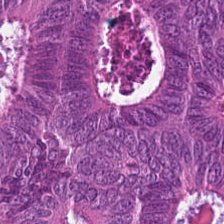WSI patch · 0.5 µm/px · hematoxylin and eosin — Predominant tissue = colorectal adenocarcinoma.
